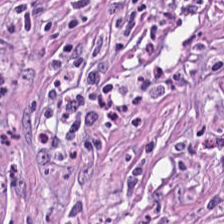{"tissue_type": "tumor-associated stroma"}
